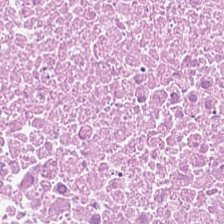H&E; brightfield microscopy.
The tissue here is debris.
